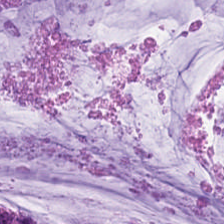Brightfield microscopy; formalin-fixed paraffin-embedded section; hematoxylin-and-eosin stained section — Showing mucus.
